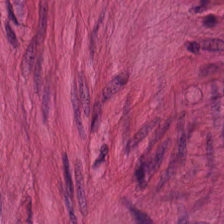Formalin-fixed paraffin-embedded section · hematoxylin-and-eosin stained section. Predominantly smooth muscle.
